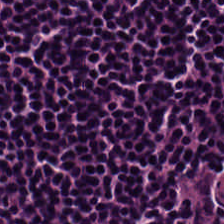H&E stain.
The predominant tissue is lymphocytic infiltrate.
